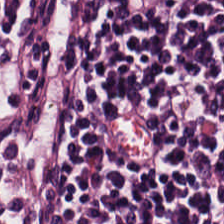FFPE tissue section; hematoxylin-and-eosin stained section; 0.5 µm per pixel — Finding — lymphocytes.
